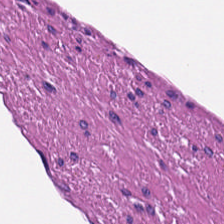The tissue here is smooth muscle.
